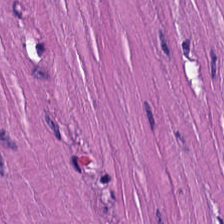H&E-stained tissue section.
This patch shows smooth-muscle tissue.
